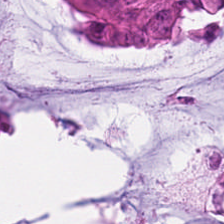0.5 µm per pixel; brightfield; H&E. The predominant tissue is colorectal adenocarcinoma.
